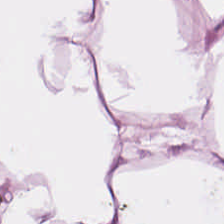Classification = adipocytes.
